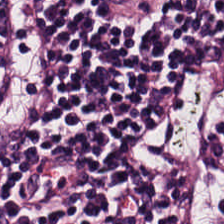Showing lymphocytes.
